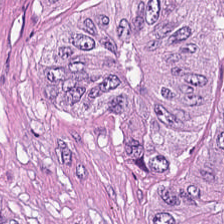H&E — malignant epithelium.
